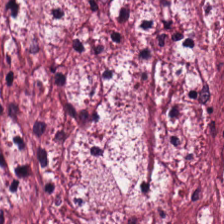Hematoxylin and eosin. {"tissue_type": "cancer-associated stroma"}
